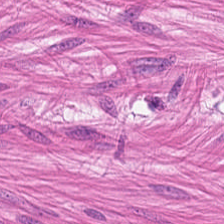Stain: H&E-stained tissue section.
Acquisition: WSI patch.
Predominant tissue: muscularis.
